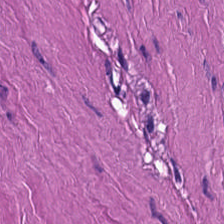Whole-slide-image patch; H&E. Q: What does this patch show?
A: The field shows muscularis.
